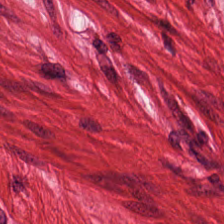Q: Identify the tissue.
A: This is muscularis.
